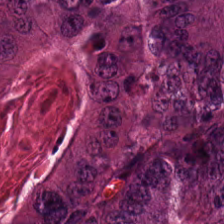H&E-stained tissue section · brightfield — Predominant tissue = tumor epithelium.
